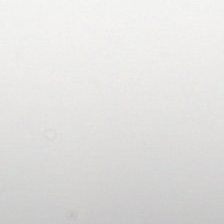Hematoxylin and eosin. This field is background (no tissue).
